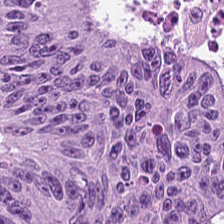0.5 µm/px; H&E-stained tissue section; 224×224 px tile — The tissue here is adenocarcinoma.
